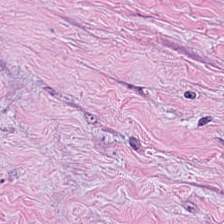Predominant tissue: desmoplastic stroma.
